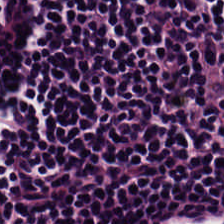H&E-stained tissue section — The predominant tissue is lymphocytes.
